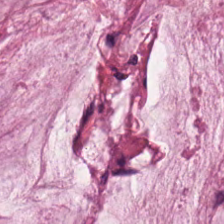H&E stain. {"tissue_type": "mucus"}
